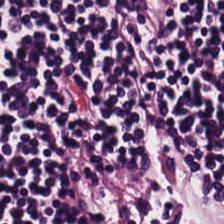224×224 pixel tile; H&E-stained tissue section. This field is lymphocytes.
